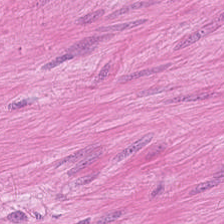Stain: hematoxylin-and-eosin stained section.
Tissue class: muscularis.
